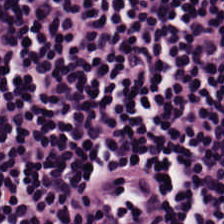H&E · 20× equivalent magnification. This patch shows lymphocytic infiltrate.
